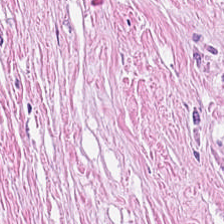The predominant tissue is tumor-associated stroma.
